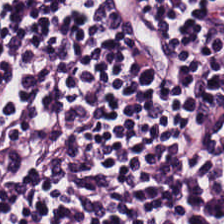Stain: H&E-stained tissue section.
Tissue class: lymphocytic infiltrate.
